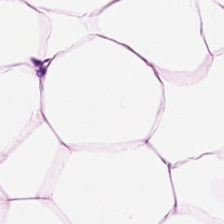WSI patch; 0.5 microns per pixel; H&E-stained tissue section. Predominant tissue: fat tissue.
